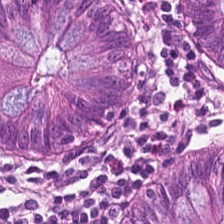H&E stain. 224×224 pixel tile. Brightfield microscopy.
Q: What tissue type is shown here?
A: It is normal colonic mucosa.
